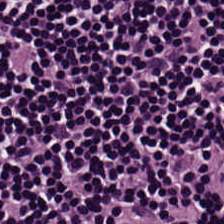FFPE tissue section. H&E stain.
Q: What is shown in this field?
A: Lymphocyte aggregate.
